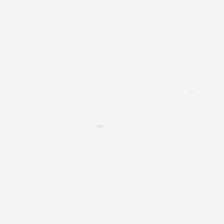Hematoxylin and eosin. Content = background (no tissue).
